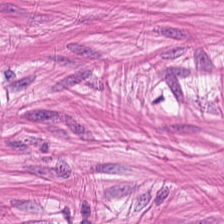Impression — muscularis.
